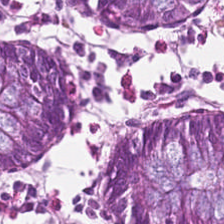H&E. 0.5 µm/px. Tissue class = normal colonic mucosa.
